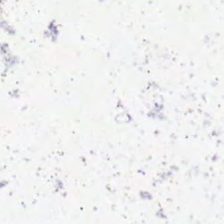Hematoxylin-and-eosin stained section.
Empty background.
